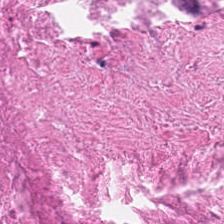WSI patch. H&E-stained tissue section. 20× equivalent magnification.
Q: What does this patch show?
A: Cellular debris.
